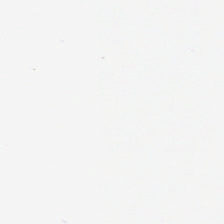H&E. {"content": "empty background"}
